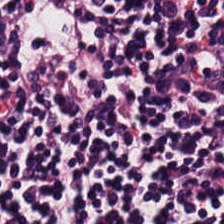H&E stain. Brightfield. 224×224 px tile — Q: Classify this patch.
A: The field shows lymphocytic infiltrate.
